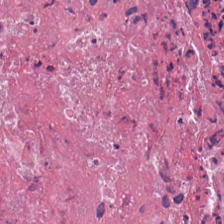224×224 px patch; 20× equivalent magnification; hematoxylin-and-eosin stained section — This field is debris.
